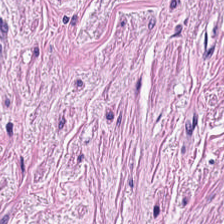Hematoxylin-and-eosin stained section.
Histology → muscularis.
